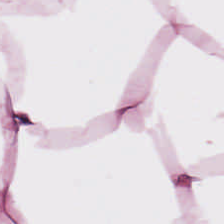Tissue: adipocytes.
